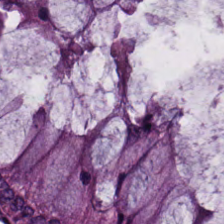H&E stain; 224×224 pixel tile. Showing non-neoplastic colon mucosa.
